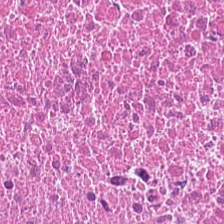Hematoxylin-and-eosin stained section. {"tissue_type": "cellular debris"}
